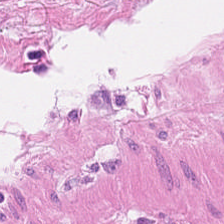224×224 px patch · hematoxylin-and-eosin stained section · formalin-fixed paraffin-embedded section — Muscularis.
